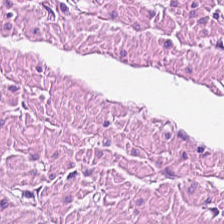Stain: H&E.
Tissue type: smooth-muscle tissue.
